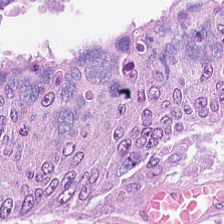224×224 pixel tile; formalin-fixed paraffin-embedded section; H&E-stained tissue section.
The predominant tissue is colorectal adenocarcinoma.
